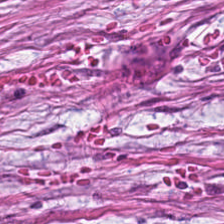20× equivalent magnification · hematoxylin-and-eosin stained section — Showing cancer-associated stroma.
